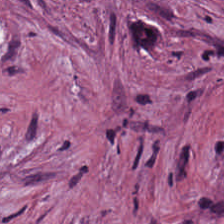This patch shows tumor-associated stroma.
